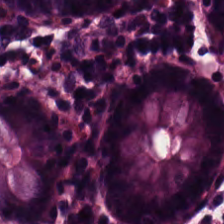Hematoxylin-and-eosin stained section. Non-neoplastic colon mucosa.
